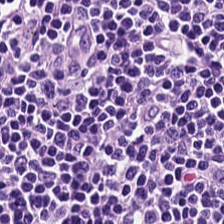Hematoxylin and eosin — Classification — lymphocyte aggregate.
